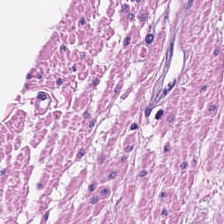This patch shows smooth-muscle tissue.
